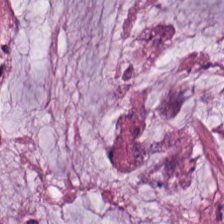H&E-stained tissue section; 20× equivalent magnification.
Tissue type: mucin.
